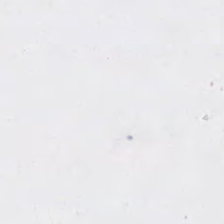0.5 microns per pixel. H&E-stained tissue section. FFPE tissue section.
Field content — background.
